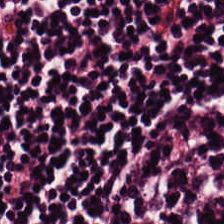H&E — Classification: lymphoid infiltrate.
